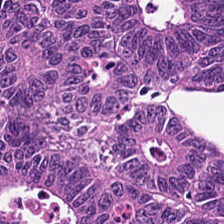Predominant tissue — colorectal adenocarcinoma epithelium.
